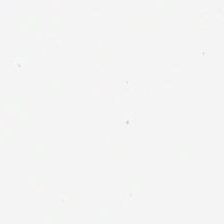224×224 pixel tile; 0.5 µm per pixel; hematoxylin and eosin — Classification — background (no tissue).
